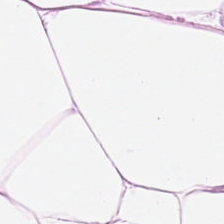H&E. Q: What does this patch show?
A: This is adipose.
